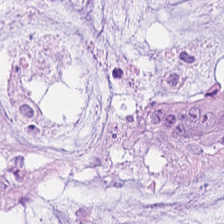Hematoxylin-and-eosin stained section.
This field is mucin.
